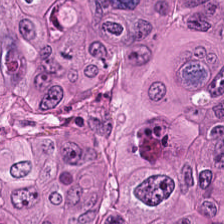Hematoxylin-and-eosin stained section · 224×224 pixel tile — This patch shows adenocarcinoma.
